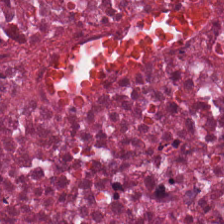H&E stain. {"tissue_type": "necrotic debris"}
